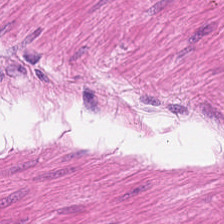Q: What tissue type is shown here?
A: It is muscularis.
